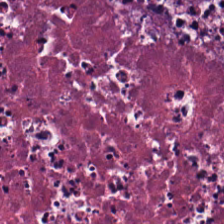Hematoxylin-and-eosin stained section — Q: What tissue type is shown here?
A: The field shows debris.
